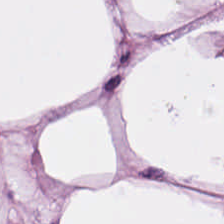20× equivalent magnification · hematoxylin-and-eosin stained section. Predominantly adipose tissue.
